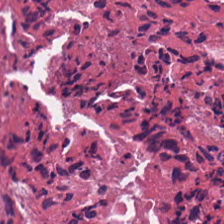H&E stain. Necrotic debris.
